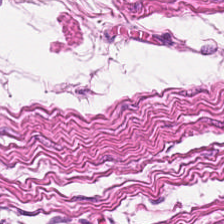Hematoxylin-and-eosin stained section — {"tissue_type": "smooth-muscle tissue"}
